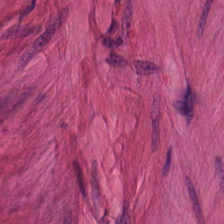Stain: H&E-stained tissue section.
Predominant tissue: smooth muscle.
